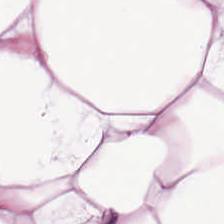Stain: hematoxylin-and-eosin stained section.
Predominant tissue: adipose tissue.
